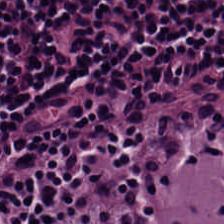The classification is lymphocytic infiltrate.
